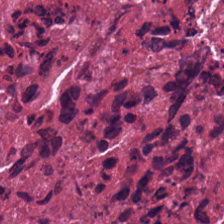Hematoxylin-and-eosin stained section · 0.5 µm per pixel · brightfield microscopy.
Showing cellular debris.
